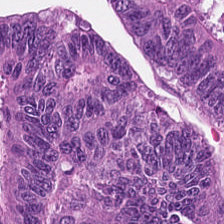Brightfield microscopy; H&E.
Finding → colorectal adenocarcinoma epithelium.
